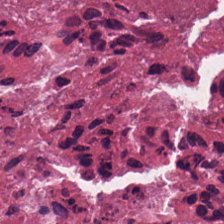H&E — necrotic debris.
